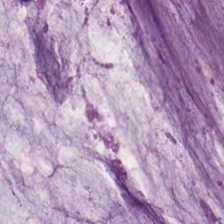Hematoxylin-and-eosin stained section.
The tissue is mucin.
